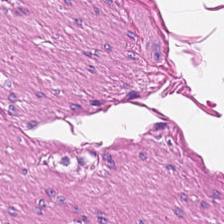20× equivalent magnification; H&E.
This field is smooth-muscle tissue.
